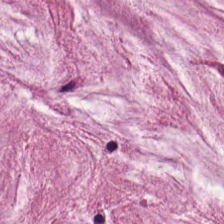Q: What tissue is shown?
A: The field shows mucin.
